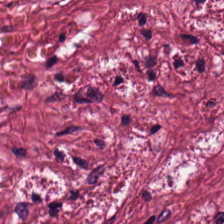H&E stain; 0.5 µm per pixel.
Q: What tissue type is shown here?
A: The field shows tumor stroma.
